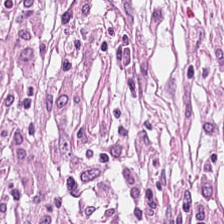Classification = tumor-associated stroma.
